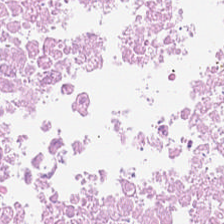H&E stain; 224×224 pixel tile; 0.5 µm/px. This field is necrotic debris.
